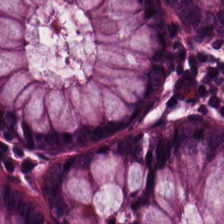H&E. 224×224 pixel tile. Whole-slide-image patch.
The tissue here is normal colon mucosa.
